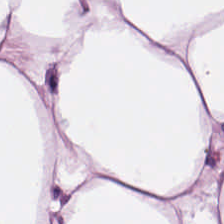H&E stain.
Showing adipocytes.
